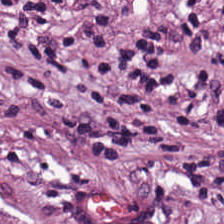H&E-stained tissue section · FFPE tissue section.
Predominant tissue: tumor stroma.
